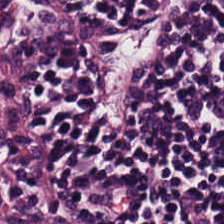Hematoxylin and eosin · 224×224 px patch · formalin-fixed paraffin-embedded section. Showing lymphocytic infiltrate.
